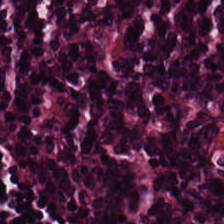H&E.
Showing lymphocytic infiltrate.
